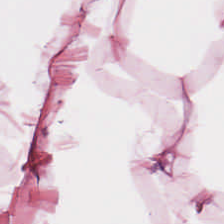Hematoxylin and eosin — {"tissue_type": "fat tissue"}
